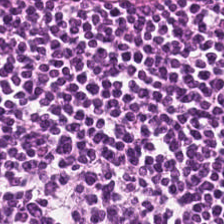Hematoxylin and eosin. The classification is lymphocytes.
